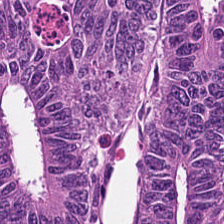224×224 pixel tile · brightfield · H&E stain — Predominant tissue — tumor epithelium.
